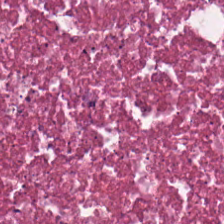224×224 px patch · H&E.
This field is necrotic debris.
